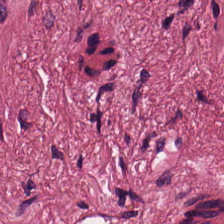Hematoxylin-and-eosin stained section. The predominant tissue is tumor stroma.
